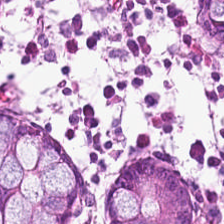Brightfield; H&E stain; 224×224 px tile.
{"tissue_type": "normal colon mucosa"}
